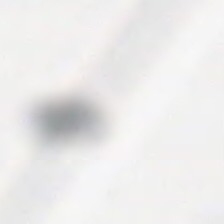H&E.
Classification: no tissue.
